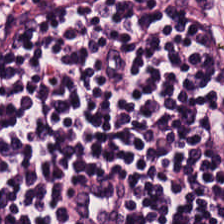Stain: H&E stain.
Acquisition: WSI patch.
Tissue: lymphocytes.
